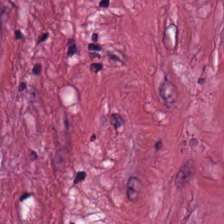Q: What is shown in this field?
A: It is cancer-associated stroma.
